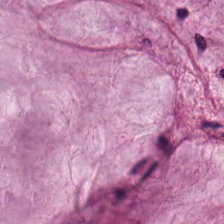H&E — This field is mucus.
